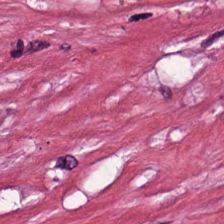0.5 µm per pixel · H&E-stained tissue section.
{"tissue_type": "tumor-associated stroma"}
